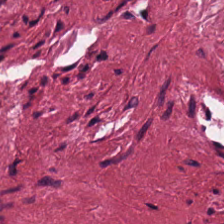Histology — desmoplastic stroma.
